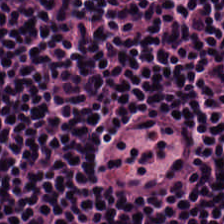Stain: hematoxylin-and-eosin stained section.
Tissue type: lymphocytes.
